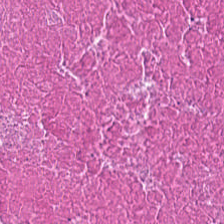Stain: H&E.
Resolution: 0.5 µm/px.
Acquisition: brightfield microscopy.
Classification: debris.
